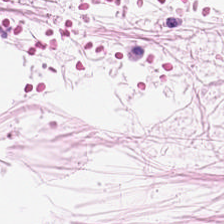H&E. Predominantly fat tissue.
